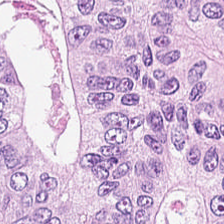Hematoxylin-and-eosin section: adenocarcinoma.
